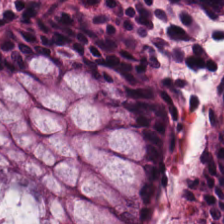Hematoxylin and eosin — Finding — benign colonic mucosa.
